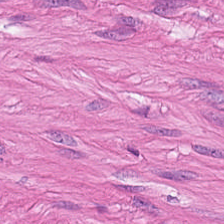224×224 px tile. Hematoxylin and eosin. Q: What type of tissue is this?
A: This is smooth muscle.
